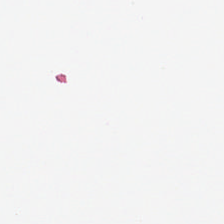Hematoxylin and eosin — Finding — empty background.
